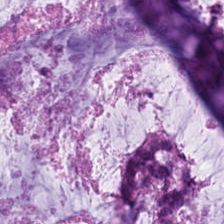Hematoxylin-and-eosin stained section.
The predominant tissue is extracellular mucin.
